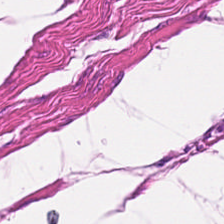Tissue type = smooth muscle.
